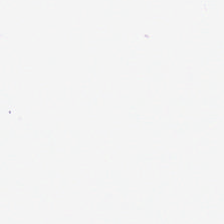H&E-stained tissue section; FFPE; whole-slide-image patch. This patch shows no tissue.
